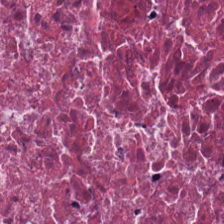H&E; FFPE tissue section — The tissue type is debris.
